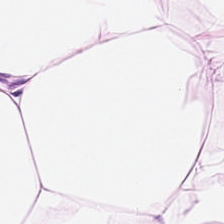Brightfield. 224×224 pixel tile. H&E stain — The tissue type is fat tissue.
